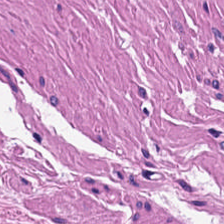Smooth muscle.
